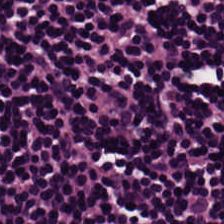H&E patch showing lymphocytes.
